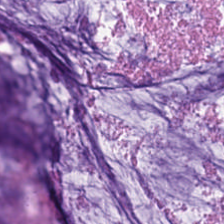H&E-stained tissue section. Tissue type = mucin.
